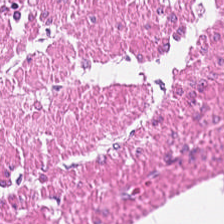Hematoxylin-and-eosin stained section · 0.5 microns per pixel — This patch shows smooth-muscle tissue.
